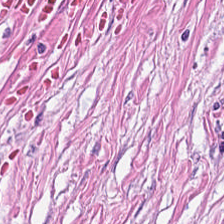20× equivalent magnification · hematoxylin-and-eosin stained section · 224×224 pixel tile. Tumor stroma.
